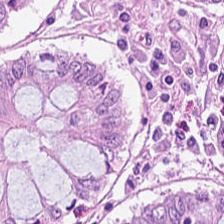Stain: hematoxylin-and-eosin stained section.
Tissue type: non-neoplastic colon mucosa.
